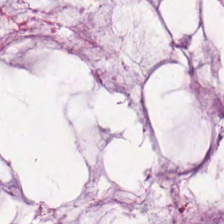H&E stain; whole-slide-image patch — Tissue type — mucus.
